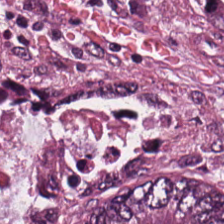Stain: hematoxylin and eosin.
Acquisition: brightfield.
Classification: colorectal adenocarcinoma.
